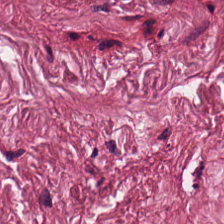Q: What is the predominant tissue type?
A: The field shows tumor-associated stroma.
